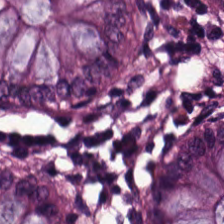Hematoxylin-and-eosin stained section. {"tissue_type": "normal colonic mucosa"}
